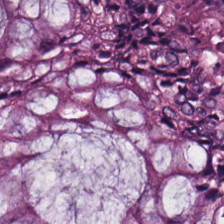0.5 µm/px. H&E — Tissue — non-neoplastic colon mucosa.
